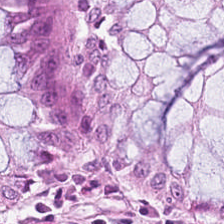Tissue type = normal colonic mucosa.
